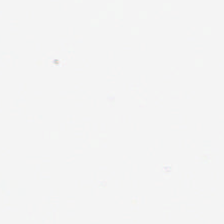FFPE tissue section; hematoxylin and eosin.
The content is background (no tissue).
